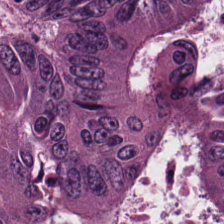Hematoxylin-and-eosin stained section; 224×224 pixel tile.
Predominant tissue — adenocarcinoma.
